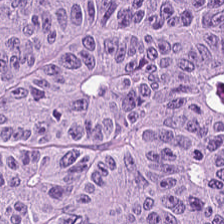Impression → tumor epithelium.
